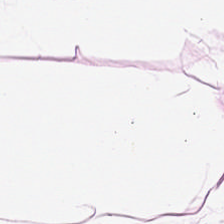H&E-stained tissue section. Tissue class: adipose tissue.
